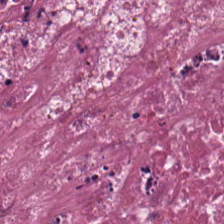Hematoxylin-and-eosin stained section. Q: What is shown here?
A: Debris.
